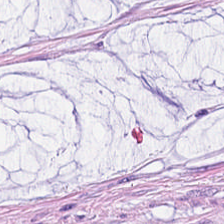H&E stain. Tissue: mucus.
